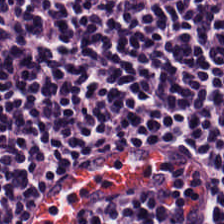The predominant tissue is lymphocytic infiltrate.
